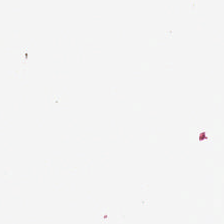Whole-slide-image patch · 224×224 pixel tile · hematoxylin and eosin.
Field content = no tissue.
